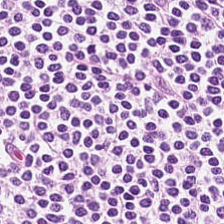Hematoxylin-and-eosin stained section.
The predominant tissue is lymphoid infiltrate.
